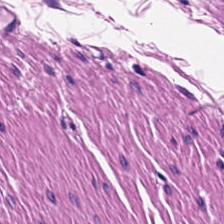Hematoxylin and eosin.
This field is smooth-muscle tissue.
